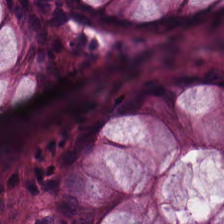Stain: hematoxylin and eosin.
Tissue class: normal colon mucosa.
